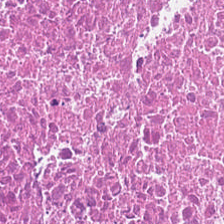Cellular debris.
